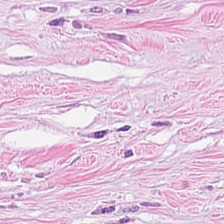Hematoxylin and eosin.
The tissue class is tumor stroma.
